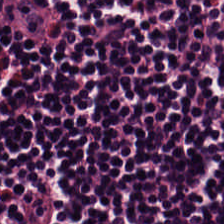224×224 pixel tile. Hematoxylin and eosin — Q: Identify the tissue.
A: This is lymphocytes.
